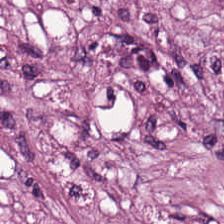H&E stain; FFPE tissue section. Tissue class = tumor stroma.
